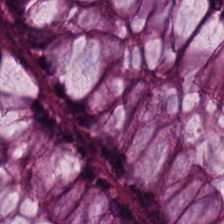Impression → normal colon mucosa.
